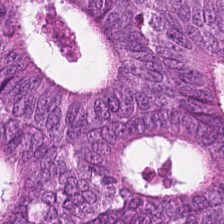Whole-slide-image patch; H&E; FFPE. Predominantly colorectal adenocarcinoma epithelium.
